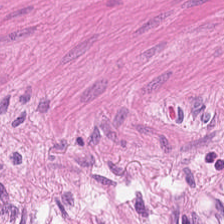0.5 microns per pixel. H&E stain — {"tissue_type": "smooth muscle"}
